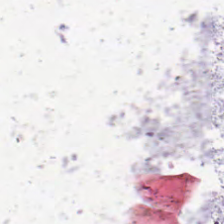0.5 µm per pixel · FFPE tissue section · H&E stain.
{"content": "background (no tissue)"}
